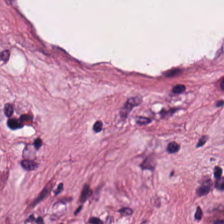FFPE tissue section · H&E stain.
Q: What tissue type is shown here?
A: It is cancer-associated stroma.
